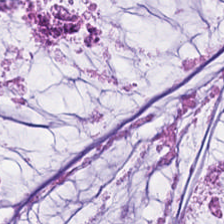Q: What is shown here?
A: The field shows mucin.
